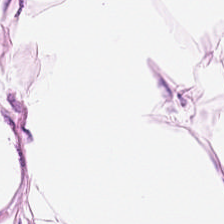20× equivalent magnification. Brightfield microscopy. H&E-stained tissue section — {"tissue_type": "adipocytes"}
